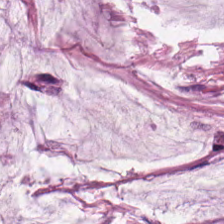Formalin-fixed paraffin-embedded section. H&E stain.
Q: What is the predominant tissue type?
A: Mucus.
